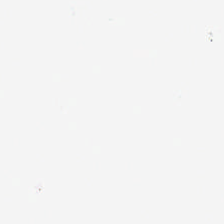H&E stain · brightfield · 0.5 µm per pixel.
Histology — background (no tissue).
